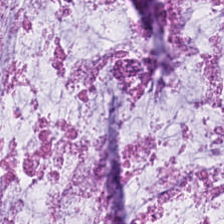Predominant tissue = extracellular mucin.
